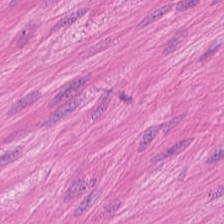Hematoxylin-and-eosin stained section. This patch shows smooth muscle.
